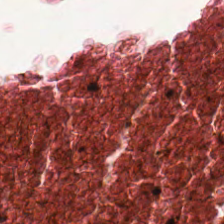H&E — Q: Classify this patch.
A: The field shows cellular debris.
